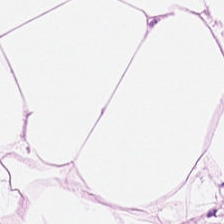Stain: H&E stain.
Tissue class: fat tissue.
